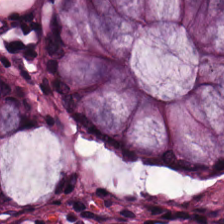0.5 µm/px; H&E stain; formalin-fixed paraffin-embedded section — The tissue type is normal colon mucosa.
